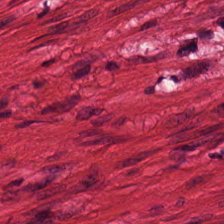224×224 px tile; H&E. This field is smooth muscle.
